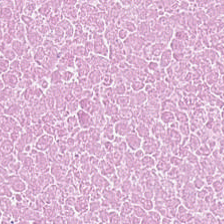H&E — Tissue: cellular debris.
